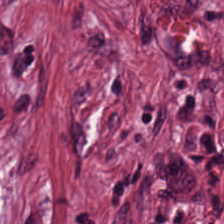FFPE tissue section; hematoxylin-and-eosin stained section.
Showing tumor-associated stroma.
